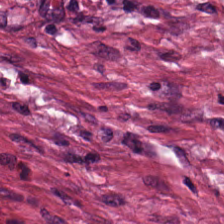Q: What does this patch show?
A: The field shows tumor stroma.
